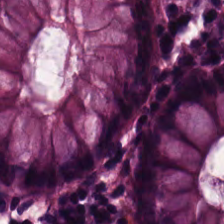Tissue type — normal colonic mucosa.
